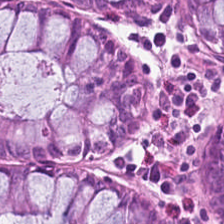Stain: H&E-stained tissue section.
Tile size: 224×224 px patch.
Predominant tissue: benign colonic mucosa.
